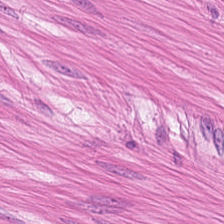Hematoxylin-and-eosin stained section; FFPE. {"tissue_type": "smooth muscle"}
